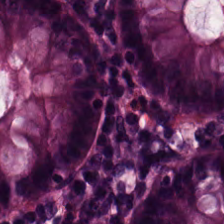Q: What is the predominant tissue type?
A: The field shows normal colonic mucosa.
